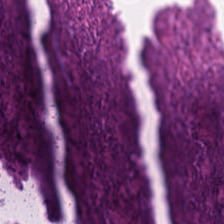Brightfield microscopy; hematoxylin and eosin. Tissue — debris.
